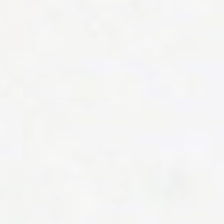Stain: H&E-stained tissue section.
Classification: no tissue.
